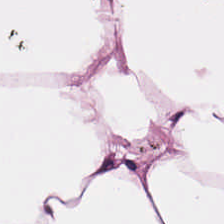Stain: hematoxylin and eosin.
Acquisition: brightfield.
Tile size: 224×224 px patch.
Predominant tissue: fat tissue.
